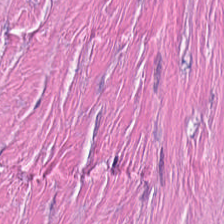Hematoxylin-and-eosin stained section. Q: What is shown in this field?
A: This is tumor-associated stroma.
